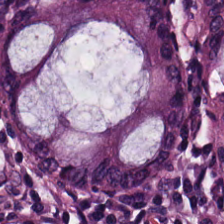Hematoxylin and eosin — Tissue class: normal colon mucosa.
